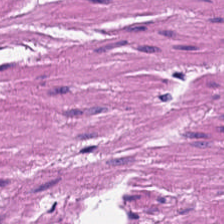H&E-stained tissue section.
Predominantly smooth-muscle tissue.
